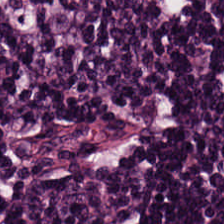Showing lymphocyte aggregate.
